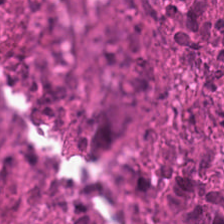H&E.
The tissue here is cellular debris.
